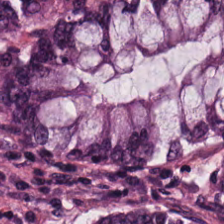H&E-stained tissue section.
The tissue here is normal colon mucosa.
